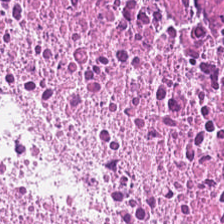H&E — necrotic debris.
